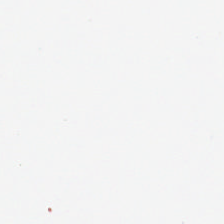Q: Classify this patch.
A: This is background.
